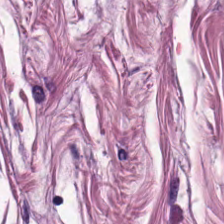{"tissue_type": "smooth muscle"}
